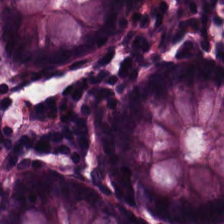Tissue — non-neoplastic colon mucosa.
